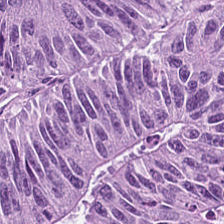H&E — The predominant tissue is malignant epithelium.
